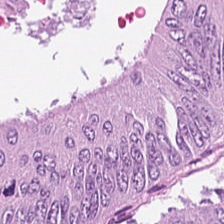H&E. Predominant tissue — malignant epithelium.
